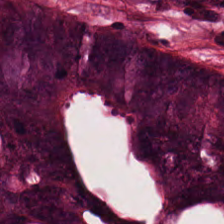Stain: H&E.
Preparation: FFPE tissue section.
Tile size: 224×224 pixel tile.
Tissue: tumor epithelium.
